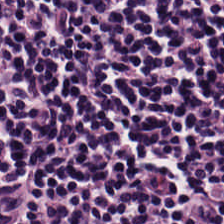Stain: H&E-stained tissue section.
Predominant tissue: lymphoid infiltrate.
